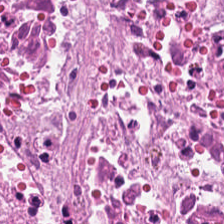H&E patch showing cellular debris.
